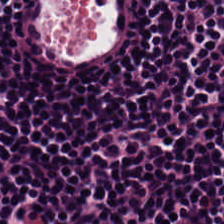H&E.
Tissue = lymphocytes.
